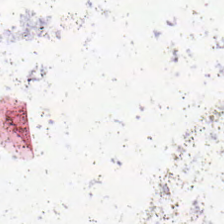Hematoxylin-and-eosin stained section.
No tissue present; background only.
